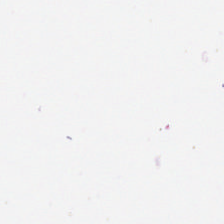Q: What is shown in this field?
A: Background.
